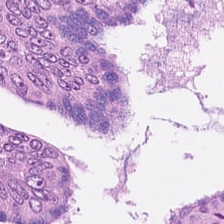H&E.
The classification is tumor epithelium.
